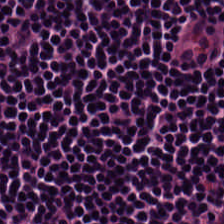Whole-slide-image patch · 224×224 px patch · hematoxylin-and-eosin stained section.
Q: What is shown here?
A: Lymphocytic infiltrate.
